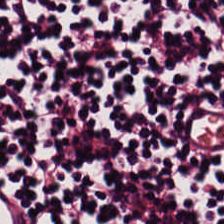H&E-stained tissue section. Impression — lymphocytic infiltrate.
